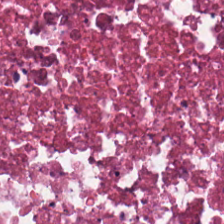Histology → cellular debris.
